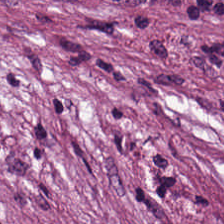Formalin-fixed paraffin-embedded section · H&E — Q: What tissue type is shown here?
A: The field shows tumor-associated stroma.
